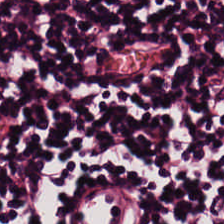This patch shows lymphoid infiltrate.
